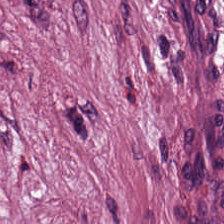H&E stain. Tissue = cancer-associated stroma.
